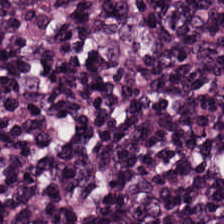H&E.
Predominantly lymphocytic infiltrate.
